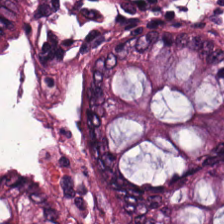H&E.
Benign colonic mucosa.
